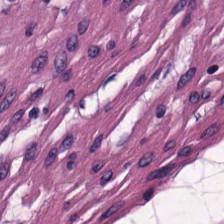Q: What is shown in this field?
A: The field shows smooth-muscle tissue.
